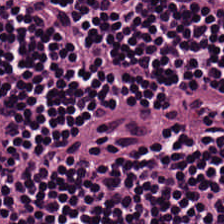Hematoxylin-and-eosin stained section.
The predominant tissue is lymphocytic infiltrate.
